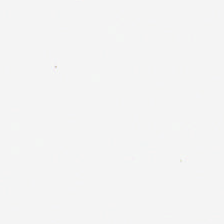Hematoxylin and eosin. 224×224 px patch. WSI patch. Empty field — empty background.
